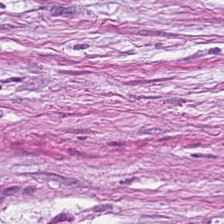H&E-stained section; the field shows tumor-associated stroma.
